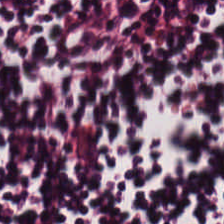0.5 µm per pixel. Hematoxylin and eosin.
Lymphocytic infiltrate.
